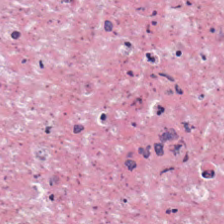Finding — necrotic debris.
